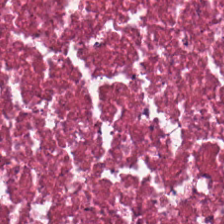Formalin-fixed paraffin-embedded section; H&E stain. Tissue = necrotic debris.
